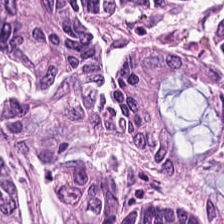H&E stain — The tissue is colorectal adenocarcinoma epithelium.
